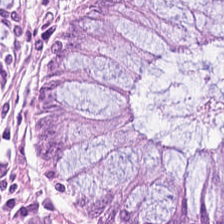Q: What is shown in this field?
A: It is non-neoplastic colon mucosa.
